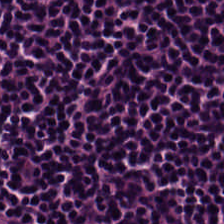Stain: H&E.
Tissue class: lymphocytes.
